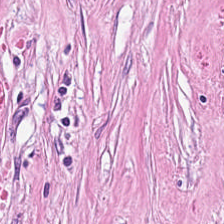Cancer-associated stroma.
